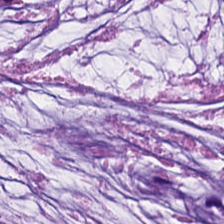Stain: H&E stain.
Predominant tissue: extracellular mucin.
